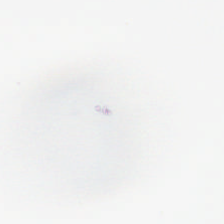H&E; 0.5 µm/px. {"content": "background (no tissue)"}
